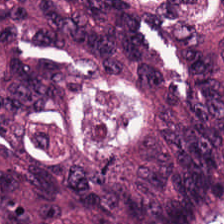Formalin-fixed paraffin-embedded section; hematoxylin-and-eosin stained section.
Q: Classify this patch.
A: It is malignant epithelium.
